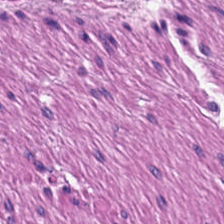H&E — Q: What does this patch show?
A: This is muscularis.
